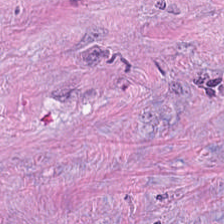224×224 px tile. Hematoxylin-and-eosin stained section.
{"tissue_type": "tumor-associated stroma"}
